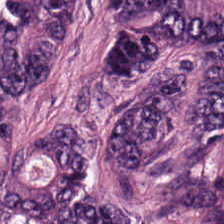WSI patch. H&E-stained tissue section.
The tissue type is tumor epithelium.
